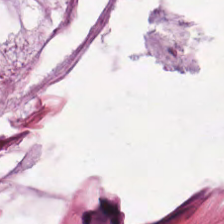H&E-stained tissue section. 224×224 pixel tile. Brightfield. This patch shows extracellular mucin.
